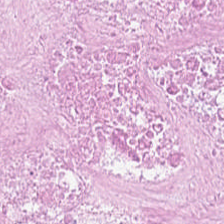Tissue type — debris.
